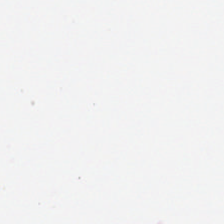Stain: hematoxylin and eosin.
Preparation: FFPE.
Field content: background.
